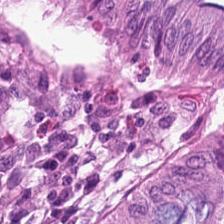0.5 µm/px. H&E-stained tissue section — Tissue = normal colonic mucosa.
